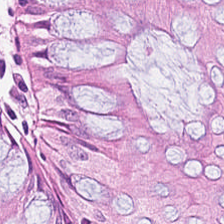H&E-stained section; the field shows non-neoplastic colon mucosa.
